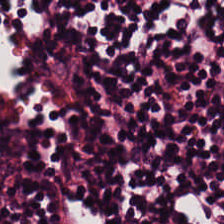H&E-stained tissue section. Whole-slide-image patch — The tissue here is lymphocytes.
